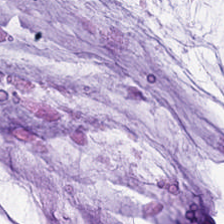20× equivalent magnification; hematoxylin and eosin; whole-slide-image patch.
Tissue class: extracellular mucin.
